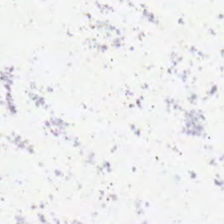224×224 px patch · H&E — Classification — background.
